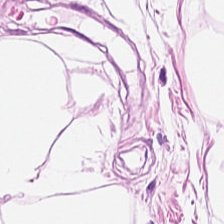This field is adipose tissue.
